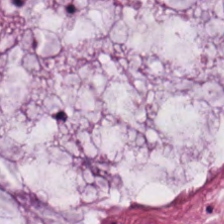0.5 µm/px; H&E — Showing mucus.
